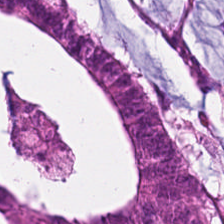Hematoxylin-and-eosin stained section. FFPE tissue section — Predominantly colorectal adenocarcinoma epithelium.
